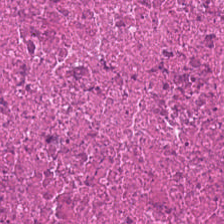Stain: H&E stain.
Preparation: FFPE.
Tissue type: cellular debris.
